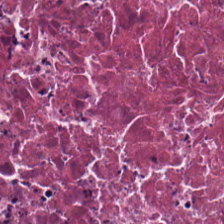Stain: H&E stain.
Resolution: 0.5 µm/px.
Tissue type: cellular debris.
